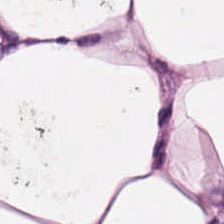Hematoxylin-and-eosin stained section · formalin-fixed paraffin-embedded section.
{"tissue_type": "adipocytes"}
